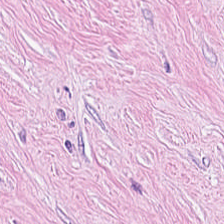Tissue type: tumor-associated stroma.
